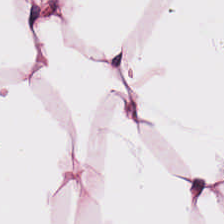H&E — The predominant tissue is adipocytes.
